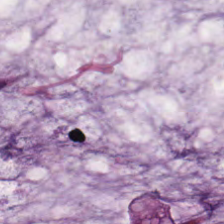0.5 microns per pixel. H&E stain.
The tissue here is mucin.
